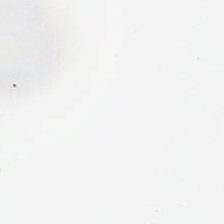0.5 µm per pixel. Hematoxylin-and-eosin stained section. FFPE. Classification: no tissue.
